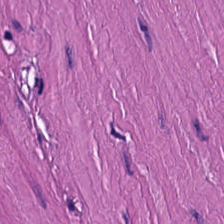H&E.
Tissue class — muscularis.
